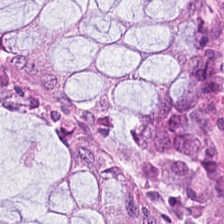H&E; 0.5 microns per pixel. The predominant tissue is normal colonic mucosa.
